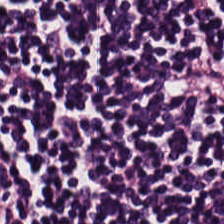Classification — lymphocyte aggregate.
